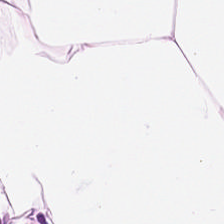Brightfield microscopy. Hematoxylin and eosin.
The classification is adipocytes.
